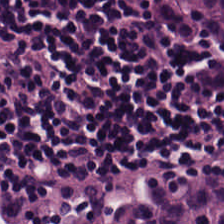Hematoxylin-and-eosin stained section. Q: What is shown in this field?
A: Lymphocytic infiltrate.
